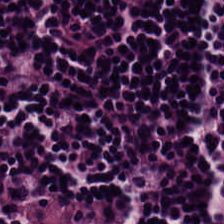Stain: H&E-stained tissue section.
Predominant tissue: lymphocytes.
